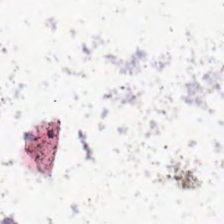Hematoxylin and eosin. Histology → empty background.
